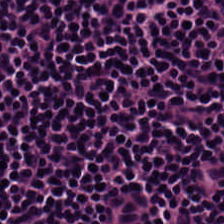224×224 pixel tile · hematoxylin and eosin — Q: What is the predominant tissue type?
A: It is lymphocytes.
